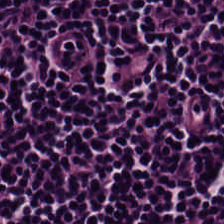H&E-stained tissue section. 0.5 microns per pixel. Whole-slide-image patch — Predominant tissue = lymphoid infiltrate.
